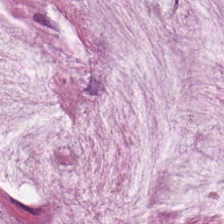H&E; 224×224 px tile.
Predominantly mucin.
